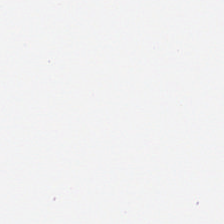Hematoxylin and eosin; whole-slide-image patch. Histology — background.
